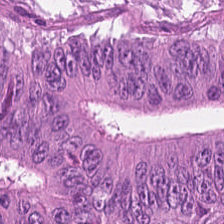Hematoxylin-and-eosin stained section · 0.5 µm/px. Colorectal adenocarcinoma epithelium.
